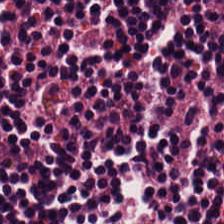H&E stain — Predominantly lymphocytes.
